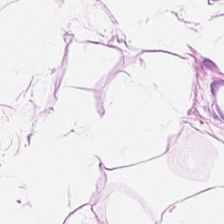H&E stain. WSI patch — Q: What tissue is shown?
A: The field shows adipose tissue.
